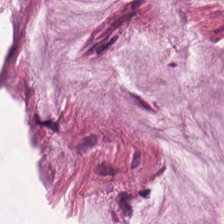Stain: hematoxylin-and-eosin stained section.
Tissue: extracellular mucin.
